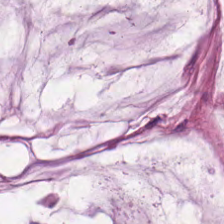H&E-stained tissue section.
The predominant tissue is mucus.
